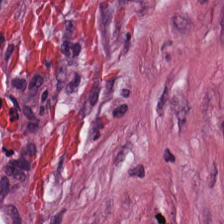Hematoxylin-and-eosin stained section. 0.5 µm/px. 224×224 pixel tile.
The tissue class is tumor stroma.
